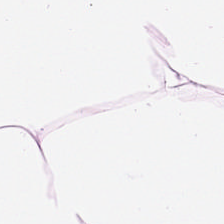Hematoxylin-and-eosin stained section — Q: What does this patch show?
A: This is adipose.
